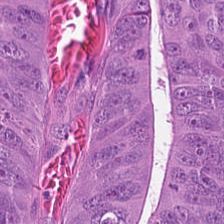H&E-stained tissue section. {"tissue_type": "malignant epithelium"}
